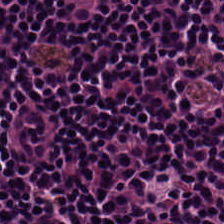H&E. Showing lymphocyte aggregate.
